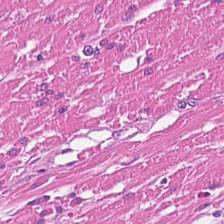Hematoxylin-and-eosin stained section — The tissue is smooth muscle.
